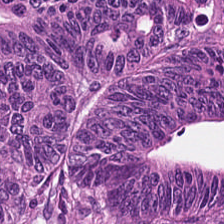H&E-stained tissue section. FFPE. 224×224 px patch.
This field is adenocarcinoma.
